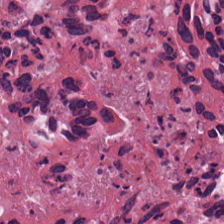FFPE tissue section · H&E stain.
Q: What is shown in this field?
A: This is cellular debris.
